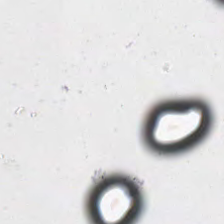Content: no tissue.
